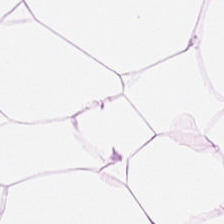Classification — fat tissue.
